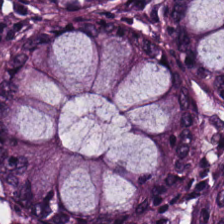Stain: hematoxylin and eosin.
Classification: normal colon mucosa.
